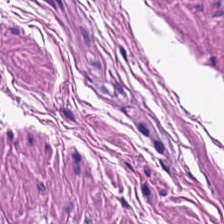H&E-stained tissue section.
This patch shows muscularis.
